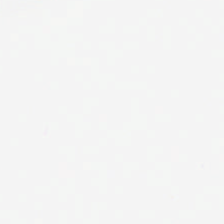H&E-stained tissue section. Background — no tissue in this field.
